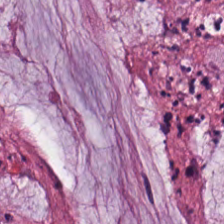Brightfield; 0.5 microns per pixel; hematoxylin and eosin. Q: What is the predominant tissue type?
A: It is extracellular mucin.
